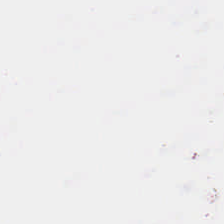Q: What is shown in this field?
A: The field shows no tissue.
